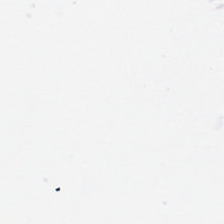Hematoxylin and eosin. 224×224 px tile — Empty background.
